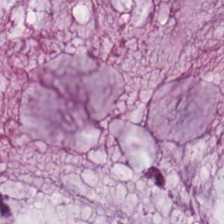Stain: hematoxylin-and-eosin stained section.
Acquisition: whole-slide-image patch.
Tile size: 224×224 px patch.
Predominant tissue: extracellular mucin.
